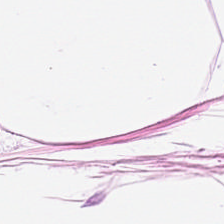Brightfield · H&E stain — This patch shows adipose tissue.
